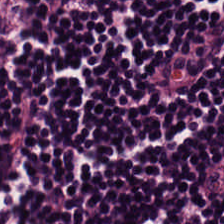H&E. WSI patch.
Impression — lymphoid infiltrate.
